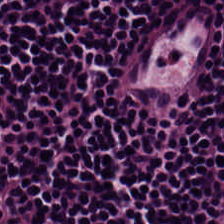Hematoxylin and eosin — Q: Classify this patch.
A: The field shows lymphocytes.
